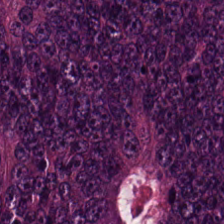Tissue — adenocarcinoma.
